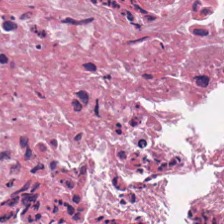Hematoxylin-and-eosin stained section — This field is debris.
